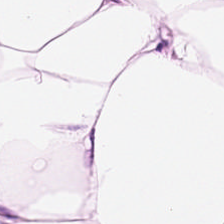H&E-stained tissue section. Tissue type: fat tissue.
